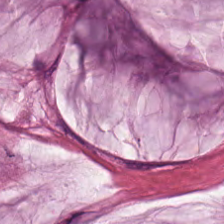H&E.
Finding — mucus.
